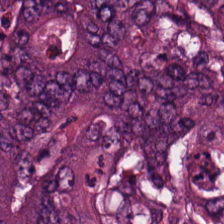Predominant tissue = colorectal adenocarcinoma.
